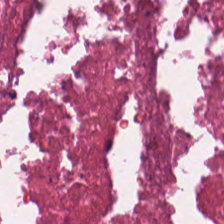Tissue class: necrotic debris.
